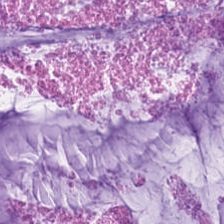Stain: H&E-stained tissue section.
Tissue class: extracellular mucin.
